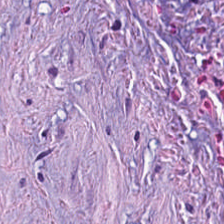Hematoxylin-and-eosin stained section. The tissue here is cancer-associated stroma.
